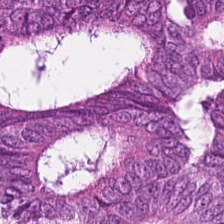H&E · FFPE tissue section — Classification — malignant epithelium.
